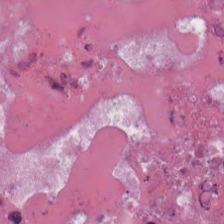H&E; FFPE; 224×224 px patch. Histology — cellular debris.
